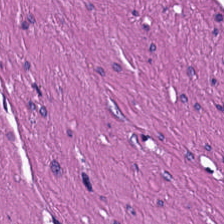Showing smooth muscle.
